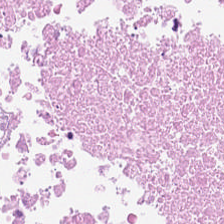H&E.
The tissue class is cellular debris.
